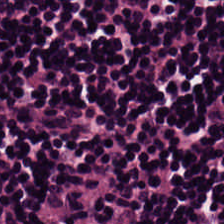Stain: hematoxylin and eosin.
Classification: lymphoid infiltrate.
